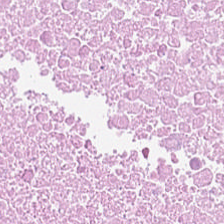H&E stain; 0.5 µm per pixel.
Necrotic debris.
